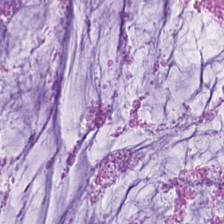Hematoxylin and eosin. Brightfield microscopy. 224×224 px tile — Predominantly extracellular mucin.
